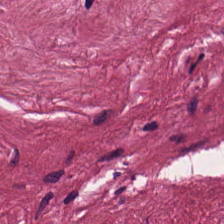H&E stain. Tissue = desmoplastic stroma.
